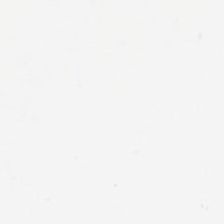Hematoxylin and eosin.
This field is background (no tissue).
